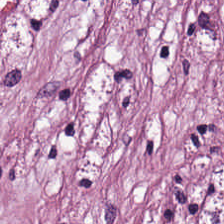H&E-stained tissue section showing tumor-associated stroma.
